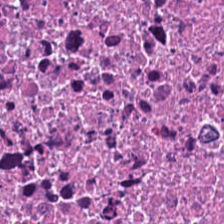H&E stain — This patch shows necrotic debris.
